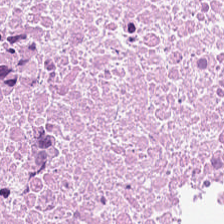Hematoxylin and eosin; FFPE tissue section.
Tissue: necrotic debris.
